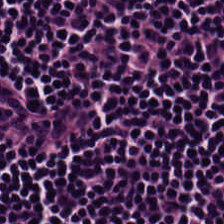H&E-stained tissue section.
Predominant tissue — lymphocytes.
